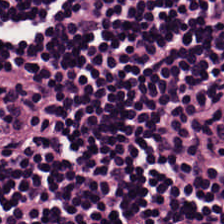Q: What tissue is shown?
A: This is lymphocyte aggregate.
